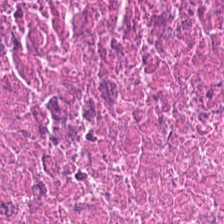The predominant tissue is debris.
